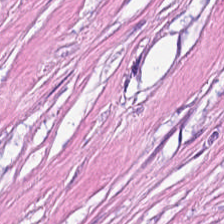Formalin-fixed paraffin-embedded section · hematoxylin and eosin — Impression → cancer-associated stroma.
